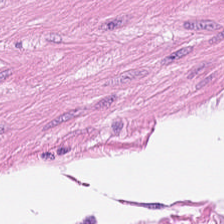Hematoxylin and eosin — Tissue class: smooth-muscle tissue.
